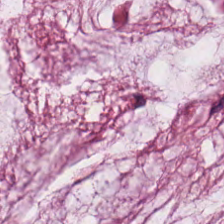H&E stain.
This field is mucin.
